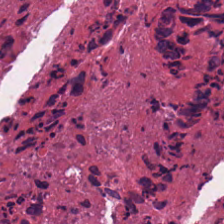H&E-stained tissue section — Q: What is shown here?
A: The field shows debris.
